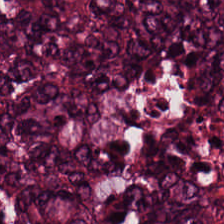Impression — adenocarcinoma.
